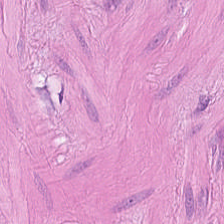Tissue type = smooth-muscle tissue.
